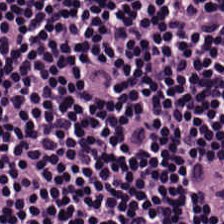Hematoxylin-and-eosin section: lymphoid infiltrate.
